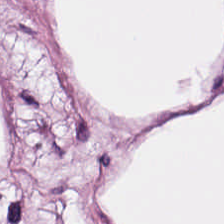The tissue here is adipose.
